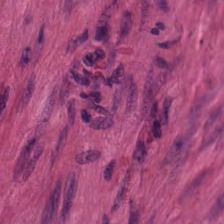H&E-stained tissue section. Q: What does this patch show?
A: This is smooth muscle.
